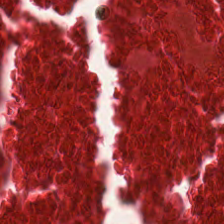Hematoxylin and eosin; formalin-fixed paraffin-embedded section.
Predominant tissue = debris.
